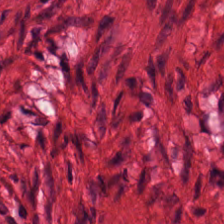H&E-stained tissue section. 224×224 px patch. FFPE tissue section.
Finding — smooth muscle.
